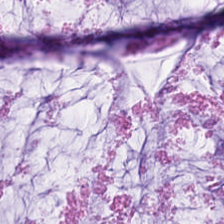Hematoxylin-and-eosin stained section.
The tissue here is extracellular mucin.
